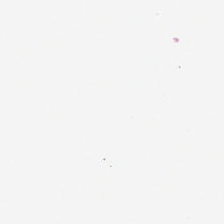H&E-stained tissue section.
Empty field — empty background.
